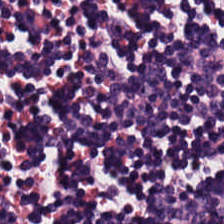H&E-stained tissue section.
Showing lymphoid infiltrate.
